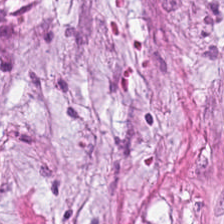H&E-stained tissue section — This patch shows cancer-associated stroma.
